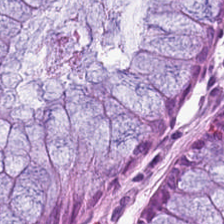Showing benign colonic mucosa.
